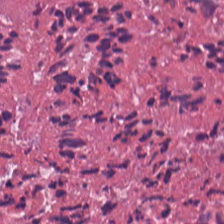Tissue — necrotic debris.
